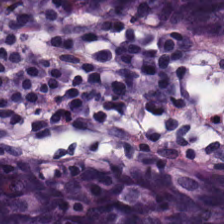Stain: hematoxylin and eosin.
Acquisition: whole-slide-image patch.
Resolution: 0.5 µm per pixel.
Tissue class: benign colonic mucosa.
